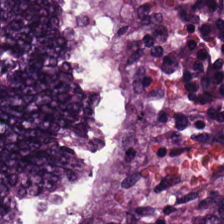H&E · brightfield. Impression → colorectal adenocarcinoma.
